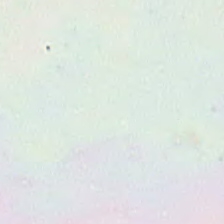H&E-stained tissue section — Background — no tissue in this field.
